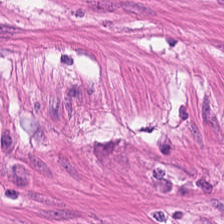H&E. This patch shows smooth-muscle tissue.
